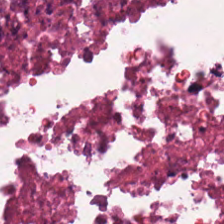224×224 pixel tile. H&E-stained tissue section.
Q: Identify the tissue.
A: The field shows necrotic debris.
